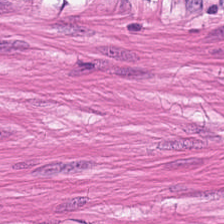FFPE tissue section. H&E — Predominantly smooth-muscle tissue.
